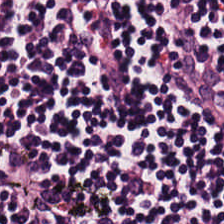H&E-stained tissue section. 224×224 px tile — Predominantly lymphocyte aggregate.
